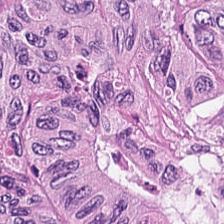Q: What tissue is shown?
A: It is malignant epithelium.
